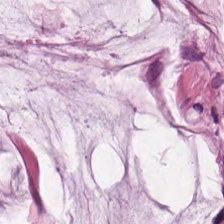Stain: H&E-stained tissue section.
Tissue type: mucus.
